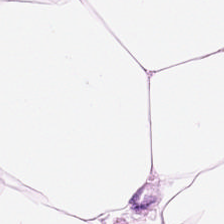0.5 microns per pixel; hematoxylin and eosin; formalin-fixed paraffin-embedded section — The tissue is fat tissue.
